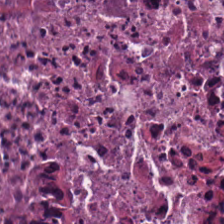0.5 µm/px. FFPE. H&E-stained tissue section.
Q: What tissue is shown?
A: Debris.
